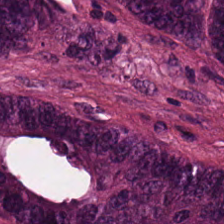Hematoxylin-and-eosin stained section. Tumor epithelium.
